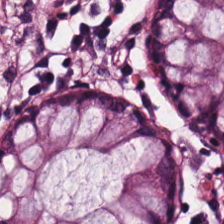Predominant tissue = normal colonic mucosa.
